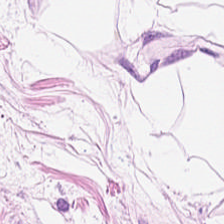FFPE. 224×224 px patch. H&E-stained tissue section — Tissue type = adipocytes.
